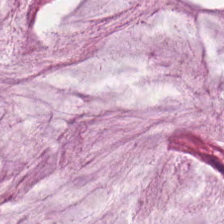H&E stain — Tissue class: mucin.
